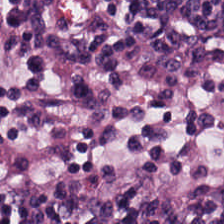The tissue is lymphocytic infiltrate.
